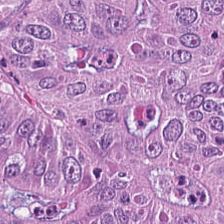This patch shows colorectal adenocarcinoma epithelium.
